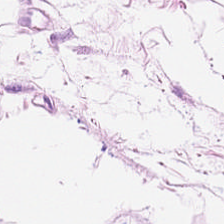H&E — Tissue class — fat tissue.
